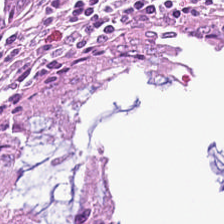224×224 px tile. H&E — Finding — normal colonic mucosa.
